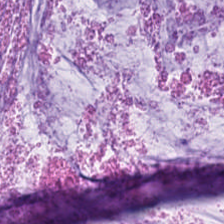Brightfield microscopy. H&E stain. Impression → extracellular mucin.
